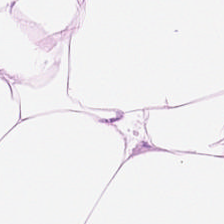Stain: hematoxylin and eosin.
Tissue class: fat tissue.
